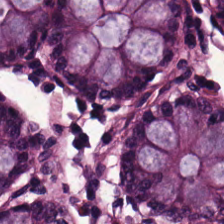Hematoxylin-and-eosin stained section; brightfield microscopy. Non-neoplastic colon mucosa.
